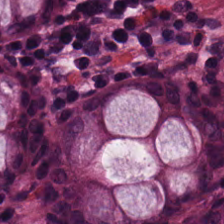Tissue type = normal colon mucosa.
